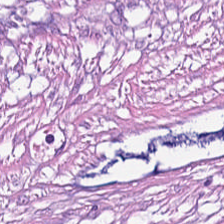Stain: hematoxylin-and-eosin stained section.
Tissue type: tumor-associated stroma.
